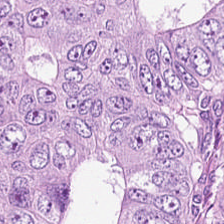Hematoxylin and eosin.
Q: What is shown here?
A: It is malignant epithelium.
